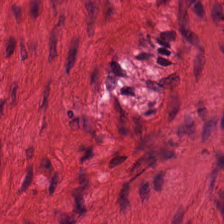Hematoxylin-and-eosin stained section. Tissue type: muscularis.
